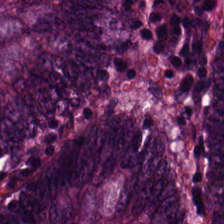WSI patch. H&E stain.
The tissue here is adenocarcinoma.
